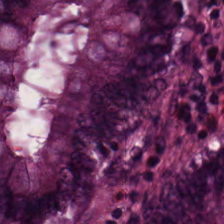H&E; whole-slide-image patch. Histology → benign colonic mucosa.
